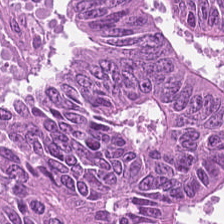H&E-stained tissue section. Tissue: adenocarcinoma.
